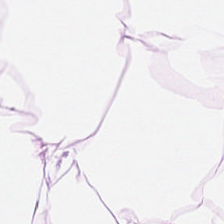Stain: hematoxylin-and-eosin stained section.
Tissue type: adipose.
